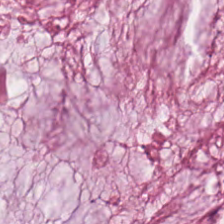H&E stain.
Showing mucus.
